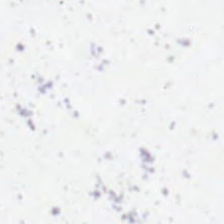FFPE tissue section; whole-slide-image patch; H&E — Q: What does this patch show?
A: Background (no tissue).
